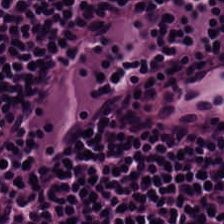Hematoxylin and eosin; WSI patch.
Showing lymphocytes.
